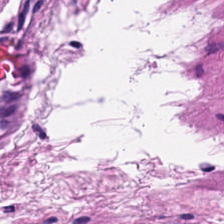Hematoxylin-and-eosin stained section.
Q: What is the predominant tissue type?
A: This is smooth-muscle tissue.
